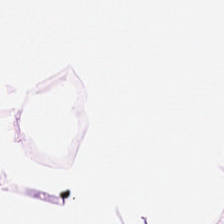0.5 µm per pixel. Hematoxylin-and-eosin stained section. This patch shows adipose tissue.
